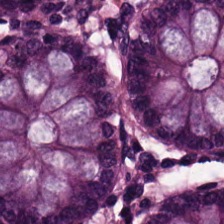H&E stain; 224×224 px patch. Showing normal colonic mucosa.
